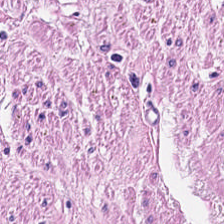This field is smooth muscle.
